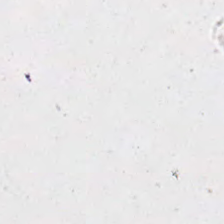Stain: hematoxylin-and-eosin stained section.
Classification: empty background.
